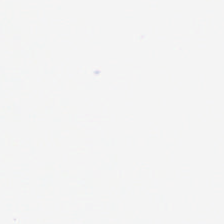Hematoxylin-and-eosin stained section. Background (no tissue).
